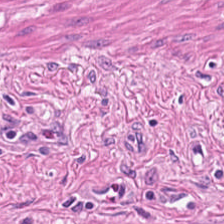This patch shows smooth-muscle tissue.
